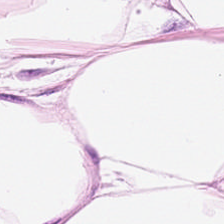224×224 pixel tile. Hematoxylin-and-eosin stained section — Adipose tissue.
